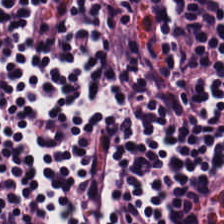Histology — lymphocyte aggregate.
